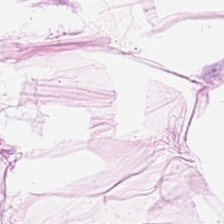224×224 px tile · hematoxylin and eosin — Predominant tissue: adipocytes.
